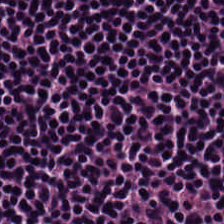Hematoxylin and eosin; formalin-fixed paraffin-embedded section; brightfield — Classification — lymphocyte aggregate.
